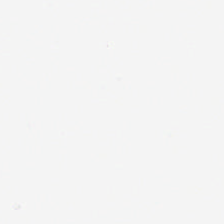Hematoxylin-and-eosin stained section · WSI patch — Background — no tissue in this field.
